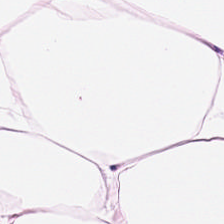0.5 microns per pixel. H&E. FFPE tissue section. Tissue class: fat tissue.
